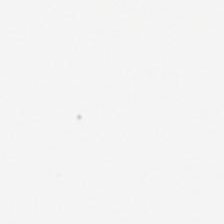H&E · WSI patch. Q: Classify this patch.
A: The field shows empty background.
